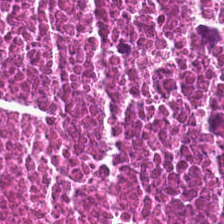Predominant tissue: necrotic debris.
